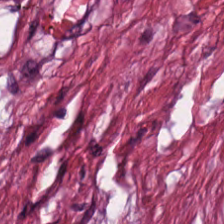Impression → tumor-associated stroma.
